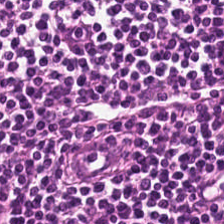Q: What type of tissue is this?
A: This is lymphocytic infiltrate.
